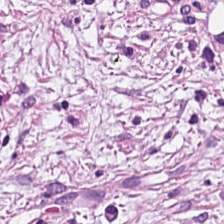Q: What is shown in this field?
A: The field shows tumor-associated stroma.
